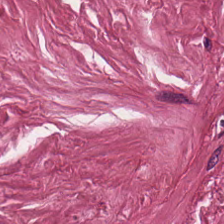{"tissue_type": "tumor stroma"}
